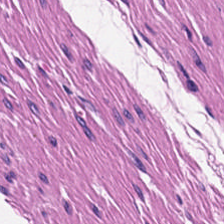Hematoxylin-and-eosin stained section · formalin-fixed paraffin-embedded section — {"tissue_type": "smooth-muscle tissue"}
